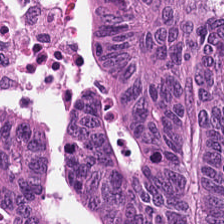H&E-stained tissue section — Predominantly colorectal adenocarcinoma.
